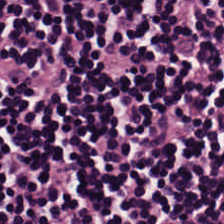Stain: H&E.
Preparation: FFPE.
Resolution: 0.5 µm/px.
Tissue class: lymphocytic infiltrate.
